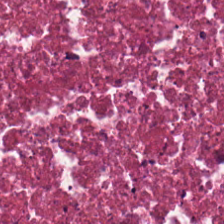0.5 microns per pixel. H&E stain. The tissue class is necrotic debris.
